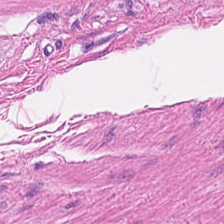H&E-stained tissue section.
This field is smooth-muscle tissue.
